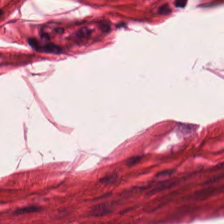Hematoxylin-and-eosin stained section. {"tissue_type": "smooth muscle"}
